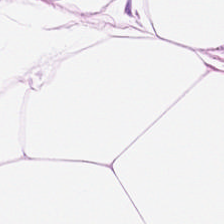H&E stain.
Q: What type of tissue is this?
A: This is fat tissue.
